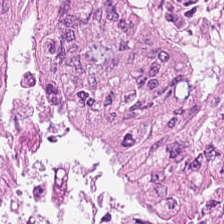Stain: hematoxylin and eosin.
Tissue class: colorectal adenocarcinoma.
